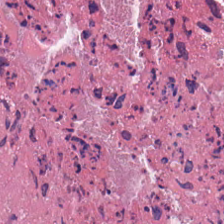Q: What tissue type is shown here?
A: The field shows necrotic debris.
